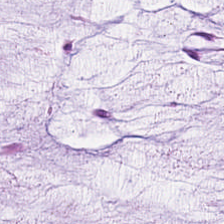Hematoxylin-and-eosin stained section · brightfield — This patch shows mucus.
